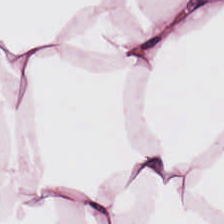Hematoxylin-and-eosin stained section — Predominant tissue — adipocytes.
